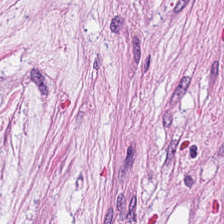WSI patch; H&E; 224×224 px patch — Tissue type — desmoplastic stroma.
